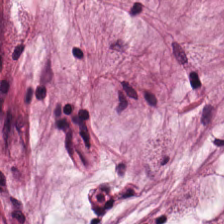{"tissue_type": "extracellular mucin"}
